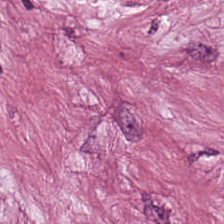Hematoxylin-and-eosin stained section; whole-slide-image patch.
Predominant tissue: cancer-associated stroma.
